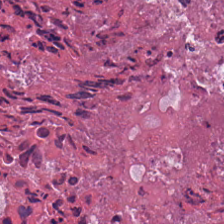Hematoxylin and eosin — Cellular debris.
